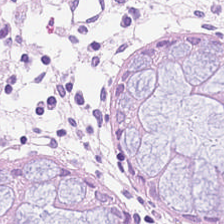H&E-stained tissue section — Predominantly normal colonic mucosa.
